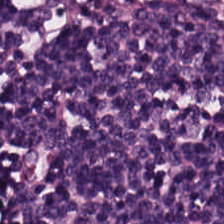Whole-slide-image patch · hematoxylin and eosin. {"tissue_type": "lymphoid infiltrate"}
